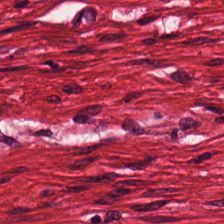Hematoxylin-and-eosin stained section.
Histology → smooth-muscle tissue.
